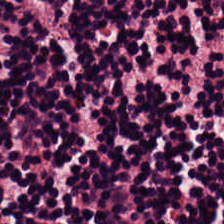The tissue class is lymphocytic infiltrate.
